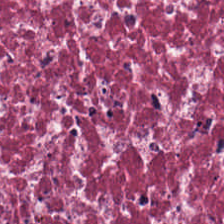FFPE tissue section; 224×224 px patch; H&E stain — This field is tumor-associated stroma.
